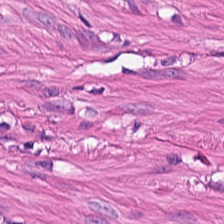{"tissue_type": "smooth-muscle tissue"}
